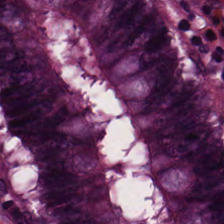H&E-stained tissue section. Whole-slide-image patch. This patch shows benign colonic mucosa.
